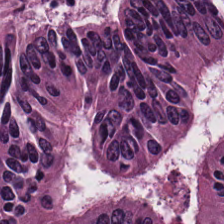FFPE. H&E stain. 0.5 microns per pixel. Tissue type: colorectal adenocarcinoma epithelium.
